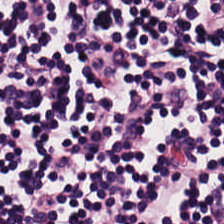H&E stain — Lymphoid infiltrate.
